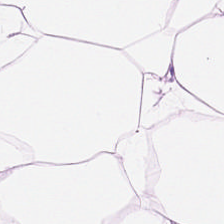Tissue type: fat tissue.
